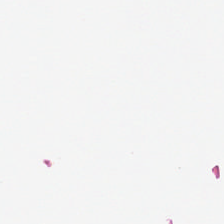H&E stain.
This field is background (no tissue).
